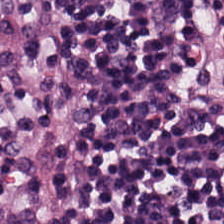224×224 px patch · H&E-stained tissue section · brightfield.
This patch shows lymphocytic infiltrate.
